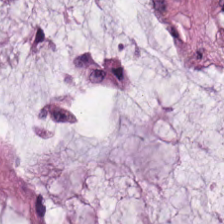Formalin-fixed paraffin-embedded section; H&E. This patch shows extracellular mucin.
